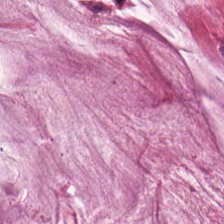H&E stain. Tissue class = mucus.
